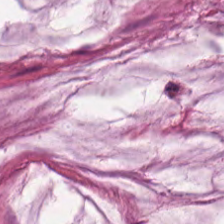Stain: H&E.
Tile size: 224×224 px tile.
Tissue: extracellular mucin.
